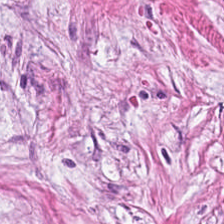H&E-stained tissue section. This patch shows tumor stroma.
